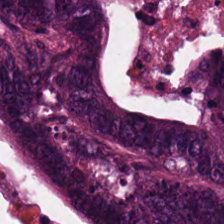H&E.
Tissue class = adenocarcinoma.
